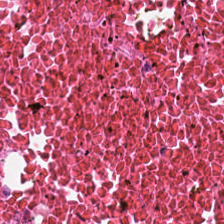224×224 px patch. H&E. FFPE. {"tissue_type": "debris"}
